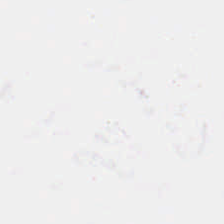Finding → background.
